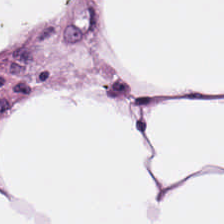Hematoxylin-and-eosin stained section. Brightfield microscopy. Histology → fat tissue.
